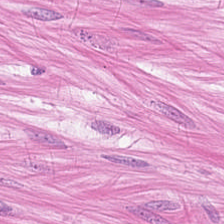Stain: H&E.
Acquisition: brightfield.
Tissue: smooth-muscle tissue.
